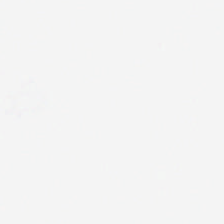Hematoxylin-and-eosin stained section.
Field content — no tissue.
